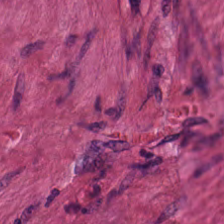Stain: H&E-stained tissue section.
Tissue: smooth-muscle tissue.
